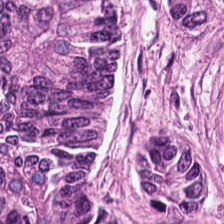H&E stain · 0.5 µm per pixel.
The tissue here is colorectal adenocarcinoma.
